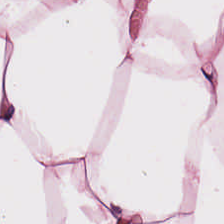224×224 px tile; brightfield; H&E stain. Impression — adipose.
